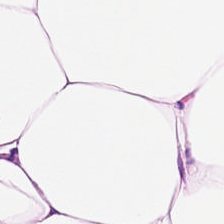H&E stain — Classification — adipocytes.
